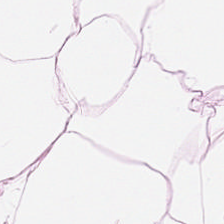Hematoxylin-and-eosin stained section. Impression → adipose.
